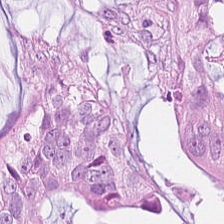Hematoxylin-and-eosin stained section. Tissue class = colorectal adenocarcinoma epithelium.
